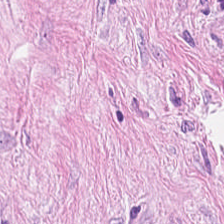H&E-stained tissue section — Classification: tumor-associated stroma.
